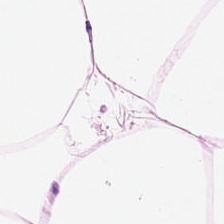224×224 pixel tile · hematoxylin and eosin — Q: What is the predominant tissue type?
A: Adipose.
